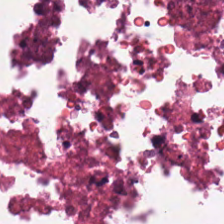H&E — Debris.
